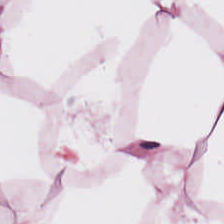H&E-stained tissue section.
Q: Identify the tissue.
A: Fat tissue.
